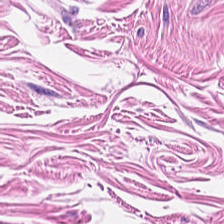H&E-stained tissue section — This patch shows smooth muscle.
